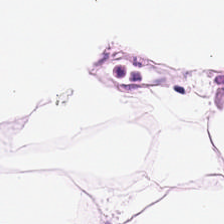H&E.
Showing adipose tissue.
